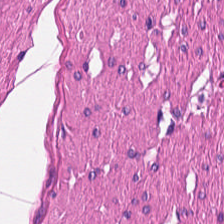{"tissue_type": "muscularis"}
